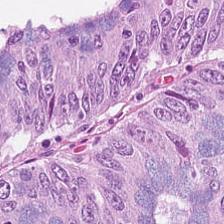H&E — Finding — colorectal adenocarcinoma epithelium.
